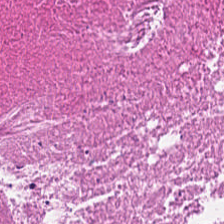Hematoxylin-and-eosin stained section.
Tissue — necrotic debris.
